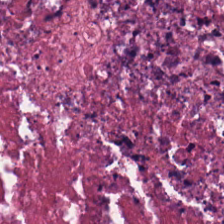0.5 microns per pixel · H&E — Q: Classify this patch.
A: The field shows debris.
